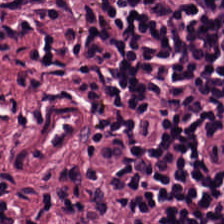Stain: hematoxylin-and-eosin stained section.
Tissue type: lymphocyte aggregate.
